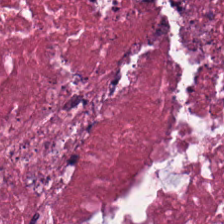H&E stain. {"tissue_type": "cellular debris"}
